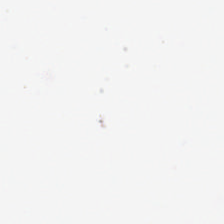Hematoxylin-and-eosin stained section.
The field content is empty background.
